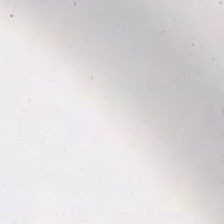H&E stain; formalin-fixed paraffin-embedded section.
Q: What is shown in this field?
A: It is no tissue.
